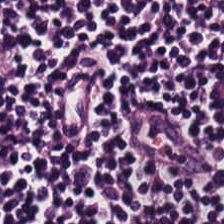Hematoxylin and eosin — Classification — lymphoid infiltrate.
